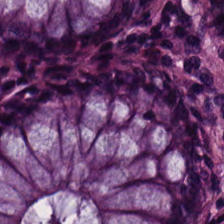Hematoxylin-and-eosin stained section.
The predominant tissue is normal colonic mucosa.
